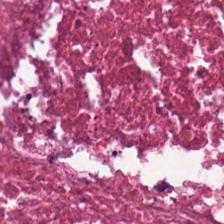0.5 µm per pixel; hematoxylin and eosin; 224×224 px tile — Classification = cellular debris.
